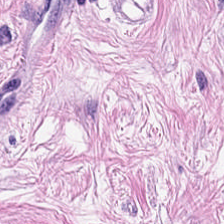H&E stain. Brightfield. Predominantly cancer-associated stroma.
